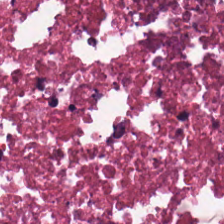0.5 µm per pixel; hematoxylin and eosin.
This field is necrotic debris.
